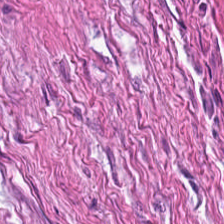Hematoxylin and eosin; formalin-fixed paraffin-embedded section; WSI patch. Tissue class = muscularis.
